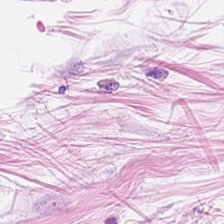Hematoxylin-and-eosin stained section — Q: Identify the tissue.
A: The field shows adipose.
